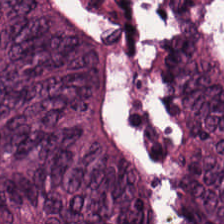20× equivalent magnification; H&E-stained tissue section. Showing colorectal adenocarcinoma.
